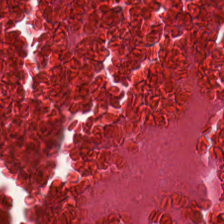The classification is cellular debris.
